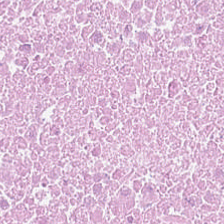This field is necrotic debris.
